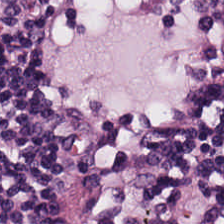Tissue class = lymphocyte aggregate.
